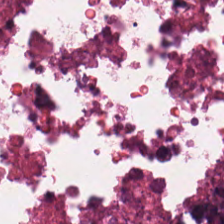Q: Identify the tissue.
A: The field shows necrotic debris.
